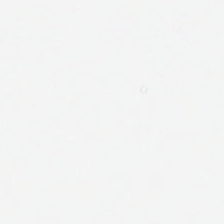Hematoxylin and eosin; brightfield microscopy. Q: Classify this patch.
A: The field shows empty background.
